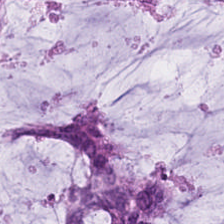Hematoxylin and eosin. Q: What tissue type is shown here?
A: Mucin.
